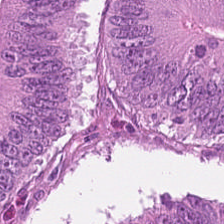Hematoxylin and eosin · 0.5 µm/px. Impression — malignant epithelium.
